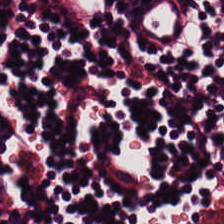Lymphocytes.
